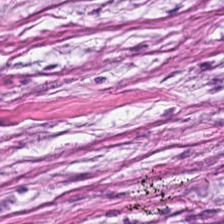Finding → desmoplastic stroma.
